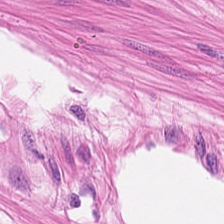H&E-stained tissue section. Showing muscularis.
